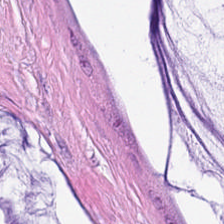H&E-stained tissue section.
The tissue type is mucin.
